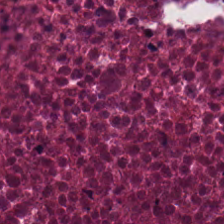Stain: H&E.
Classification: cellular debris.
